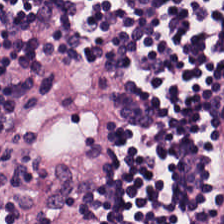H&E-stained tissue section showing lymphocytic infiltrate.
